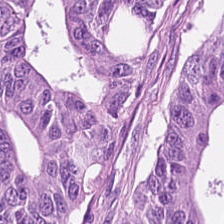The tissue class is tumor epithelium.
